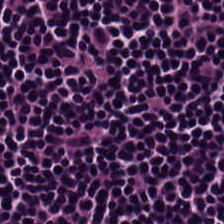H&E. Brightfield — Q: Identify the tissue.
A: The field shows lymphoid infiltrate.
